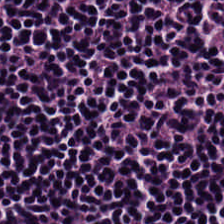H&E stain.
Q: What tissue is shown?
A: Lymphoid infiltrate.
